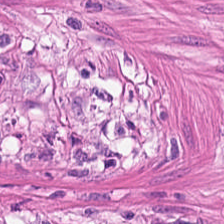This field is smooth-muscle tissue.
